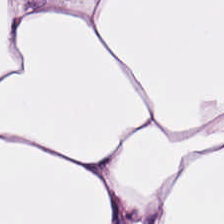Hematoxylin-and-eosin stained section — The predominant tissue is adipocytes.
